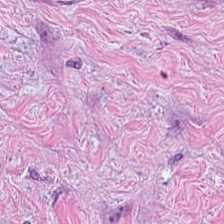Stain: H&E-stained tissue section.
Predominant tissue: tumor-associated stroma.
